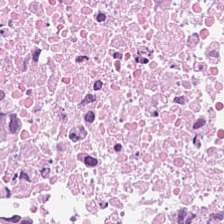Hematoxylin and eosin.
Debris.
